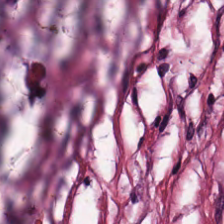H&E stain.
Histology — tumor stroma.
